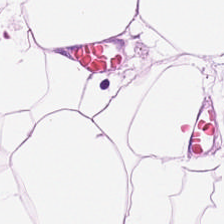The tissue class is adipose.
